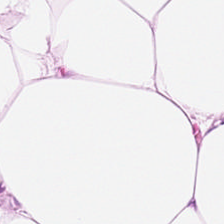Histology → fat tissue.
